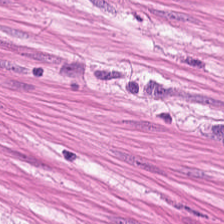H&E-stained tissue section — Impression — muscularis.
